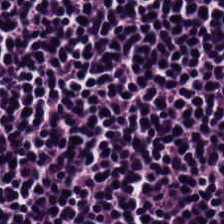Stain: H&E.
Classification: lymphocytes.
